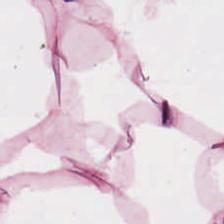Stain: H&E stain.
Tile size: 224×224 px patch.
Tissue class: adipocytes.
